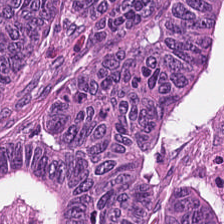Classification: adenocarcinoma.
